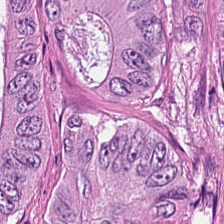Stain: hematoxylin and eosin.
Tissue type: colorectal adenocarcinoma.
